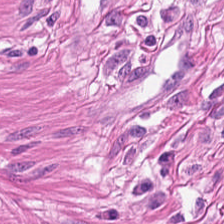H&E; FFPE tissue section. The tissue type is muscularis.
